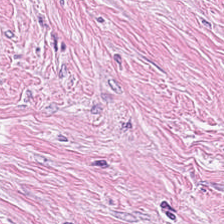Histology — tumor stroma.
